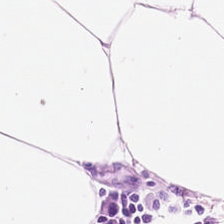Hematoxylin and eosin. Adipose.
